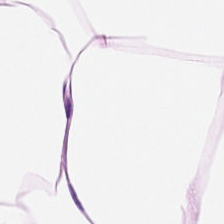Stain: H&E.
Tile size: 224×224 px tile.
Tissue type: fat tissue.
